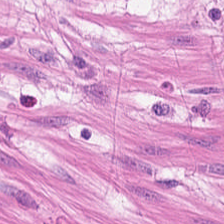H&E-stained tissue section. Predominantly smooth-muscle tissue.
